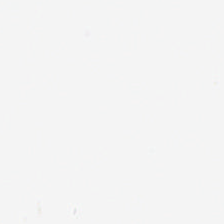224×224 px patch · hematoxylin-and-eosin stained section. No tissue present; background only.
